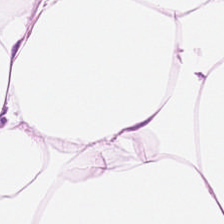Hematoxylin and eosin · FFPE · whole-slide-image patch — Q: Identify the tissue.
A: It is adipose tissue.
